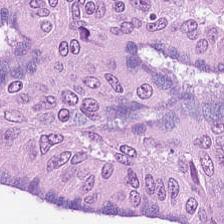Stain: H&E-stained tissue section.
Tile size: 224×224 px patch.
Acquisition: whole-slide-image patch.
Classification: malignant epithelium.
